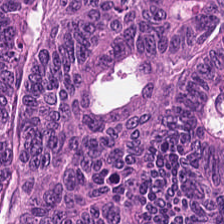Hematoxylin-and-eosin stained section · 224×224 px patch — Q: What type of tissue is this?
A: Malignant epithelium.
